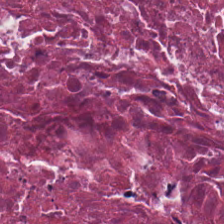H&E.
The predominant tissue is debris.
